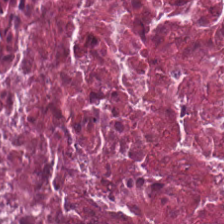224×224 px patch · brightfield microscopy · hematoxylin and eosin. Q: What is shown here?
A: Cellular debris.
